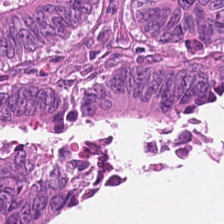Tissue — tumor epithelium.
